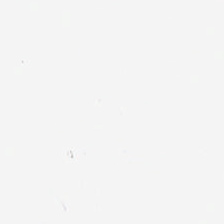The content is empty background.
